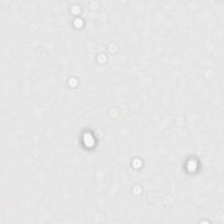H&E-stained tissue section. Q: Classify this patch.
A: The field shows no tissue.
